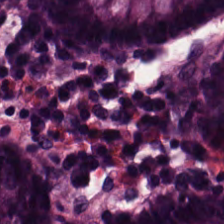H&E-stained tissue section — The predominant tissue is non-neoplastic colon mucosa.
